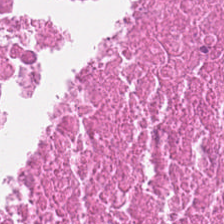H&E-stained tissue section.
Histology — debris.
